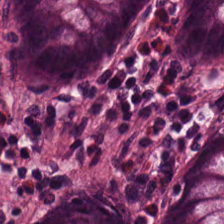Hematoxylin-and-eosin stained section. FFPE tissue section. 0.5 microns per pixel — Tissue type: normal colon mucosa.
